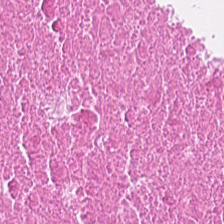Classification — debris.
